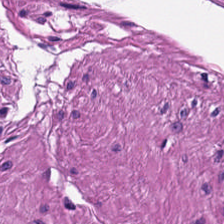Hematoxylin and eosin; brightfield.
The tissue here is muscularis.
